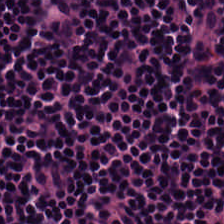Whole-slide-image patch · H&E. This patch shows lymphoid infiltrate.
